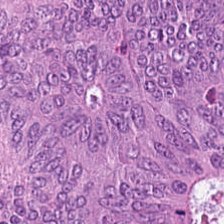Impression → tumor epithelium.
